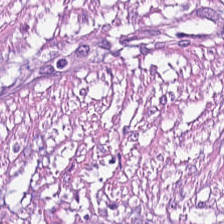H&E stain.
This patch shows tumor-associated stroma.
